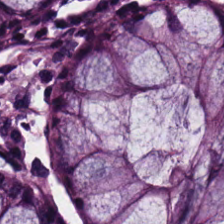H&E-stained tissue section — {"tissue_type": "benign colonic mucosa"}
